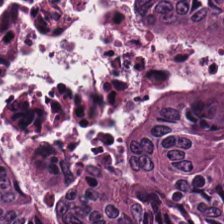H&E-stained tissue section — Q: What is the predominant tissue type?
A: The field shows tumor epithelium.
